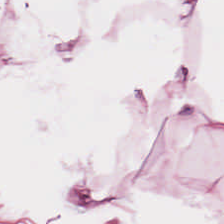H&E. Brightfield.
The tissue class is adipose.
